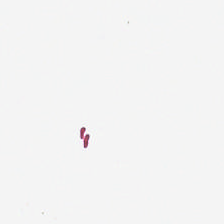Hematoxylin and eosin.
This patch shows background.
